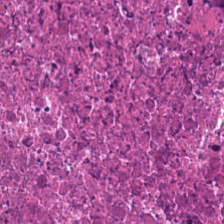0.5 µm/px; hematoxylin-and-eosin stained section — Q: What type of tissue is this?
A: Necrotic debris.
